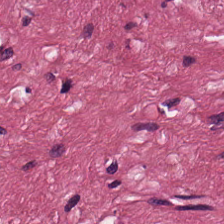H&E — Tumor stroma.
